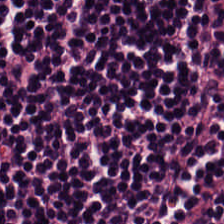Stain: H&E stain.
Classification: lymphocytes.
